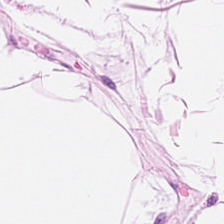224×224 px tile. H&E-stained tissue section — Q: What tissue is shown?
A: The field shows adipose.
